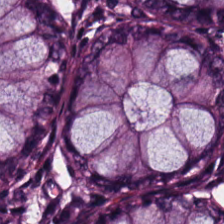H&E stain.
The tissue here is benign colonic mucosa.
